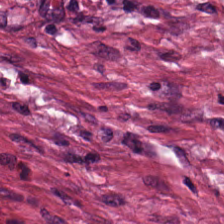WSI patch; hematoxylin-and-eosin stained section — Tissue type = desmoplastic stroma.
